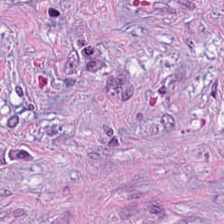H&E-stained tissue section · 224×224 px patch — Q: What is shown here?
A: This is desmoplastic stroma.
